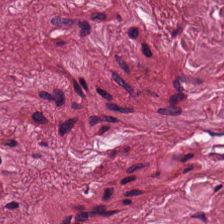0.5 µm/px; hematoxylin and eosin. The classification is desmoplastic stroma.
